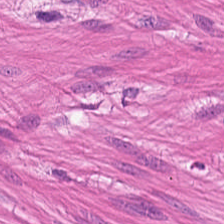0.5 µm/px; hematoxylin-and-eosin stained section — Tissue type = smooth muscle.
